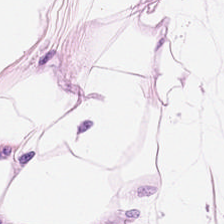H&E stain · FFPE tissue section.
Tissue = adipose tissue.
